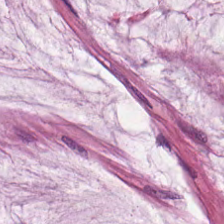Stain: H&E stain.
Tissue class: mucin.
